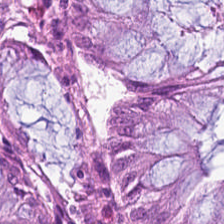H&E. The predominant tissue is benign colonic mucosa.
